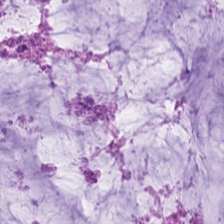H&E-stained tissue section.
Q: Classify this patch.
A: Extracellular mucin.
